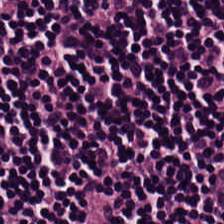224×224 px tile; hematoxylin and eosin.
The predominant tissue is lymphoid infiltrate.
